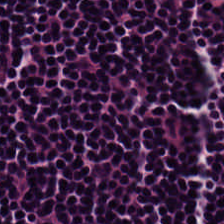Hematoxylin and eosin.
{"tissue_type": "lymphocyte aggregate"}
